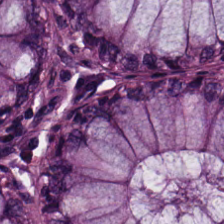H&E stain — Q: What is shown here?
A: It is normal colonic mucosa.
